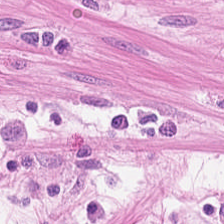224×224 px patch · H&E-stained tissue section · FFPE. This field is muscularis.
